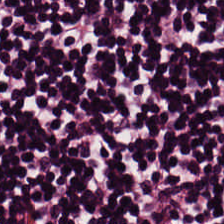Q: Classify this patch.
A: It is lymphocytes.
